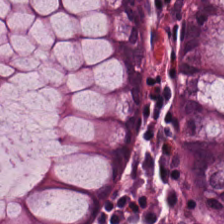The tissue here is normal colonic mucosa.
